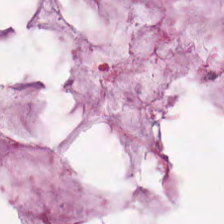FFPE tissue section; hematoxylin-and-eosin stained section. This field is extracellular mucin.
